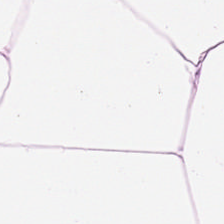Hematoxylin-and-eosin stained section · formalin-fixed paraffin-embedded section — Tissue class = adipose tissue.
